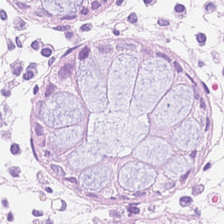Hematoxylin and eosin. 224×224 pixel tile.
The classification is normal colon mucosa.
